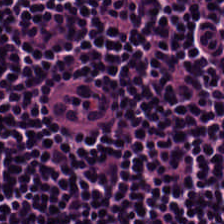H&E stain — The predominant tissue is lymphocytic infiltrate.
